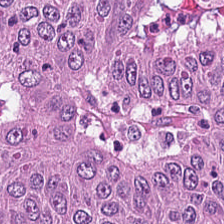Hematoxylin-and-eosin stained section.
Q: What tissue is shown?
A: Malignant epithelium.
